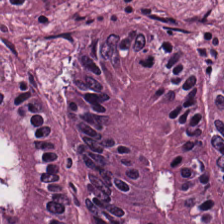Impression — malignant epithelium.
